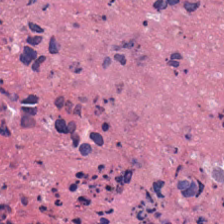Hematoxylin-and-eosin stained section.
Finding — cellular debris.
